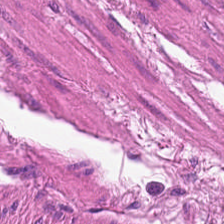Formalin-fixed paraffin-embedded section · H&E · brightfield microscopy. Tissue type — smooth muscle.
